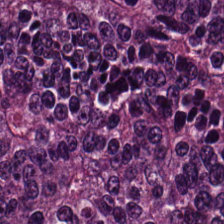Formalin-fixed paraffin-embedded section; brightfield microscopy; hematoxylin and eosin — Tissue = malignant epithelium.
